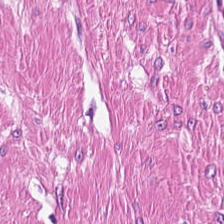Hematoxylin and eosin; 20× equivalent magnification. {"tissue_type": "muscularis"}
